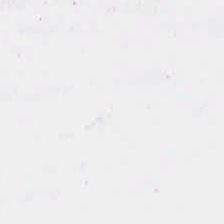H&E-stained tissue section.
This field is background (no tissue).
